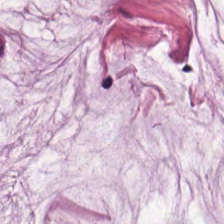WSI patch; hematoxylin and eosin.
Classification = extracellular mucin.
